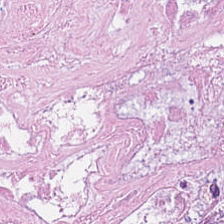Hematoxylin-and-eosin stained section.
Q: What tissue type is shown here?
A: It is debris.
